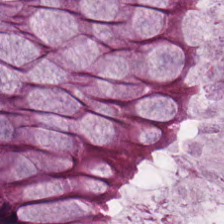H&E stain; brightfield microscopy — {"tissue_type": "non-neoplastic colon mucosa"}
